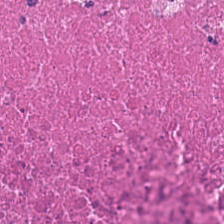224×224 px tile. 0.5 µm per pixel. H&E stain — The tissue type is debris.
